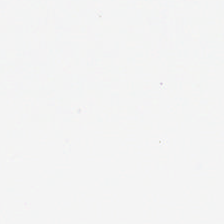Hematoxylin and eosin — This field is background (no tissue).
